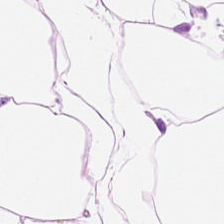Hematoxylin and eosin. Classification: adipocytes.
